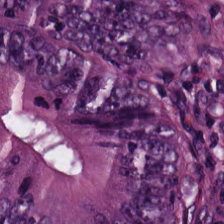This patch shows tumor epithelium.
